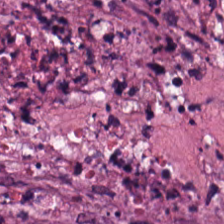H&E. Showing debris.
